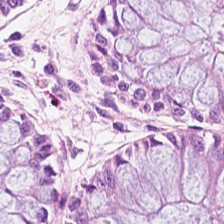Hematoxylin and eosin · brightfield microscopy · 224×224 px patch — The predominant tissue is normal colonic mucosa.
